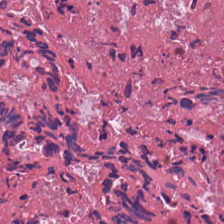Necrotic debris.
